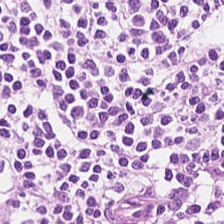H&E stain. Q: What tissue type is shown here?
A: It is lymphocytes.
